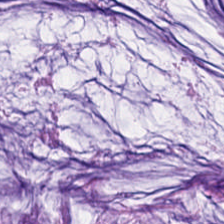Formalin-fixed paraffin-embedded section. H&E-stained tissue section.
This patch shows mucus.
